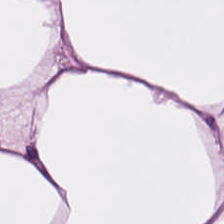Stain: hematoxylin and eosin.
Tissue type: adipose.
